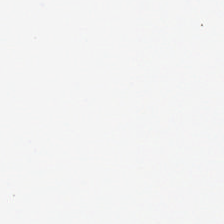Q: What is shown in this field?
A: This is no tissue.
